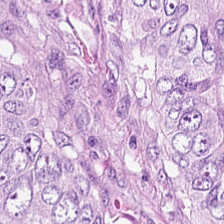H&E — Histology — adenocarcinoma.
